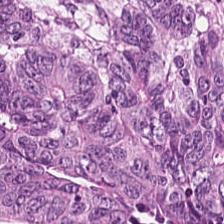Hematoxylin and eosin; FFPE — The predominant tissue is colorectal adenocarcinoma epithelium.
